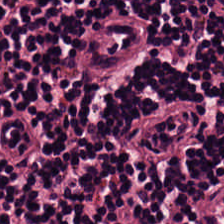Stain: H&E stain.
Tissue: lymphocyte aggregate.
